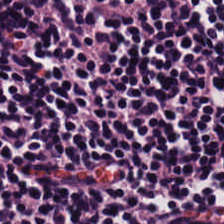Lymphocyte aggregate.
